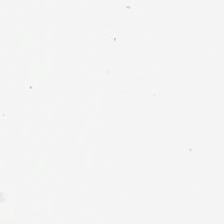H&E stain. Content = empty background.
